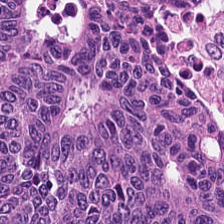H&E-stained tissue section.
Showing tumor epithelium.
